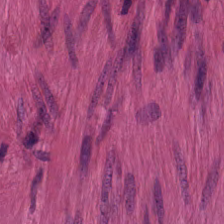Showing smooth muscle.
